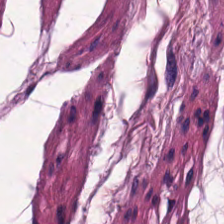Impression → smooth-muscle tissue.
